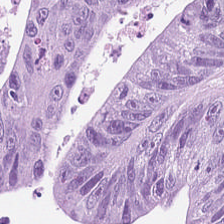FFPE · hematoxylin and eosin — The predominant tissue is adenocarcinoma.
